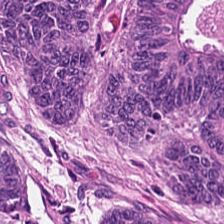224×224 px tile · hematoxylin and eosin · FFPE tissue section. Showing adenocarcinoma.
